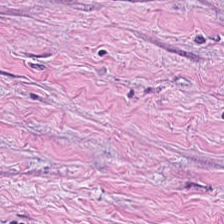Hematoxylin-and-eosin stained section. Classification = desmoplastic stroma.
